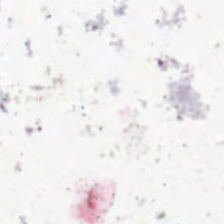Q: What is shown here?
A: It is no tissue.
